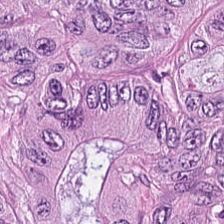H&E-stained tissue section — The classification is malignant epithelium.
